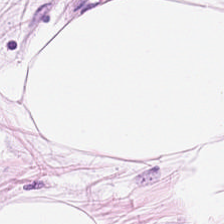224×224 px patch. 0.5 µm per pixel. H&E stain.
Histology — adipocytes.
